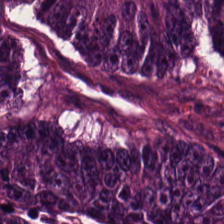Hematoxylin and eosin.
Q: Identify the tissue.
A: This is tumor epithelium.
